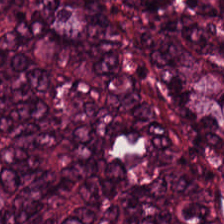Q: What tissue type is shown here?
A: This is malignant epithelium.
